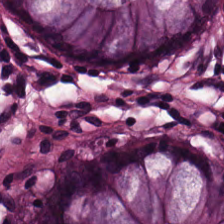H&E-stained tissue section. Normal colon mucosa.
